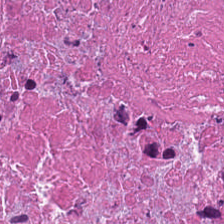Hematoxylin-and-eosin stained section; WSI patch. Tissue — debris.
